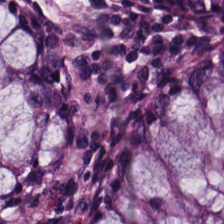H&E stain; formalin-fixed paraffin-embedded section — Tissue class: non-neoplastic colon mucosa.
